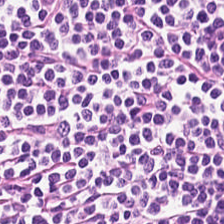H&E stain. Tissue type = lymphocytic infiltrate.
